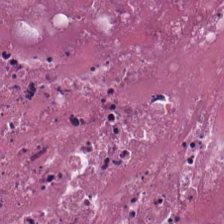H&E-stained tissue section.
Finding → necrotic debris.
